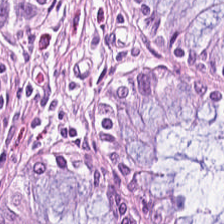Stain: H&E stain.
Tissue class: non-neoplastic colon mucosa.
